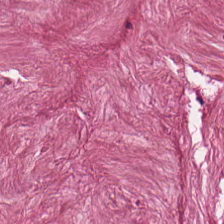H&E stain — Q: What tissue is shown?
A: This is desmoplastic stroma.
